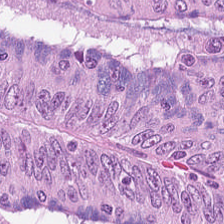Q: What does this patch show?
A: This is malignant epithelium.
